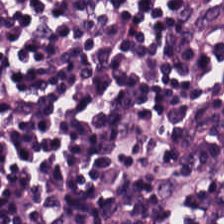0.5 µm/px. H&E-stained tissue section. FFPE tissue section — Predominant tissue — lymphocyte aggregate.
